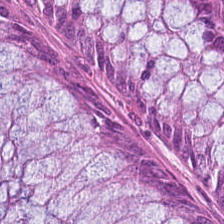H&E-stained tissue section; brightfield — Impression — non-neoplastic colon mucosa.
